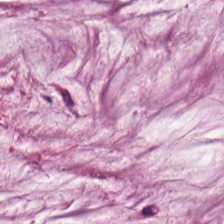H&E. Extracellular mucin.
